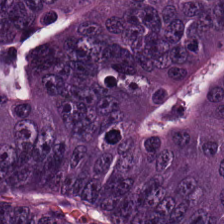Stain: hematoxylin-and-eosin stained section.
Classification: adenocarcinoma.
